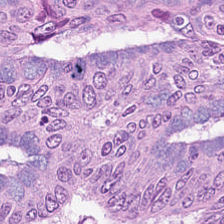WSI patch · FFPE · H&E stain. Predominant tissue — adenocarcinoma.
